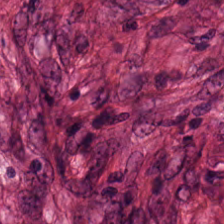Brightfield microscopy. Hematoxylin-and-eosin stained section.
{"tissue_type": "desmoplastic stroma"}
